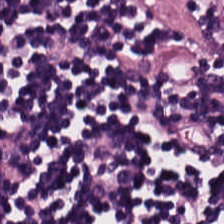Hematoxylin-and-eosin stained section. WSI patch. The predominant tissue is lymphocytes.
